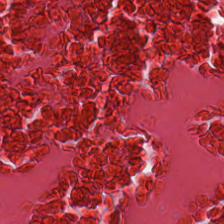0.5 µm/px. Hematoxylin-and-eosin stained section. Necrotic debris.
